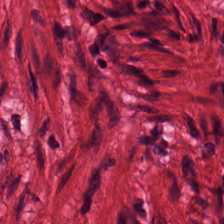H&E-stained tissue section; brightfield; 0.5 µm/px. Q: What is shown in this field?
A: The field shows muscularis.
